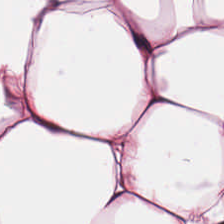H&E stain; formalin-fixed paraffin-embedded section — {"tissue_type": "adipose"}
